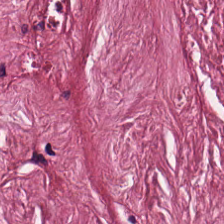Stain: H&E stain.
Acquisition: WSI patch.
Tile size: 224×224 pixel tile.
Predominant tissue: desmoplastic stroma.
